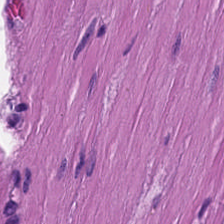H&E patch showing muscularis.
